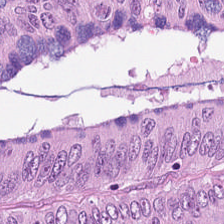Hematoxylin-and-eosin stained section. Brightfield.
This patch shows colorectal adenocarcinoma epithelium.
